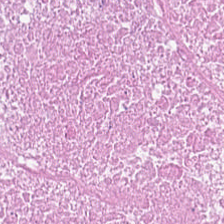224×224 pixel tile · hematoxylin-and-eosin stained section. Histology → cellular debris.
